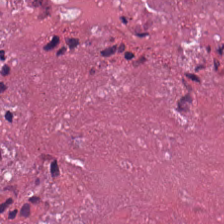H&E. Classification — debris.
